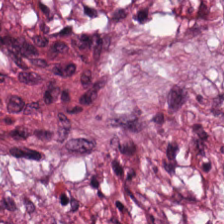H&E stain. This patch shows tumor-associated stroma.
